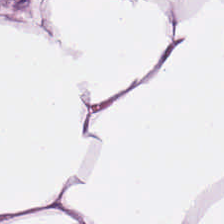224×224 px patch. Hematoxylin-and-eosin stained section — Tissue type: fat tissue.
